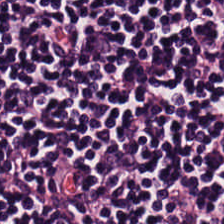H&E stain · brightfield microscopy — Q: What is the predominant tissue type?
A: It is lymphocytes.
